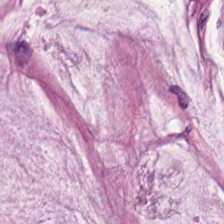0.5 µm per pixel; H&E — Predominantly mucin.
